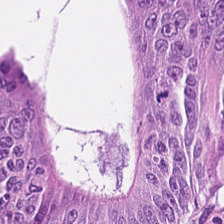Q: What tissue type is shown here?
A: It is adenocarcinoma.
